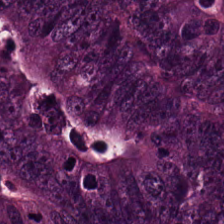H&E-stained tissue section showing tumor epithelium.
